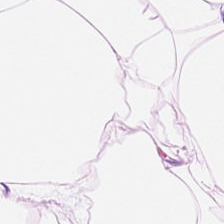H&E stain; 224×224 px tile — The classification is fat tissue.
